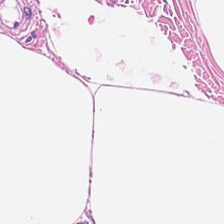Hematoxylin-and-eosin stained section. 224×224 px tile — This patch shows adipose tissue.
